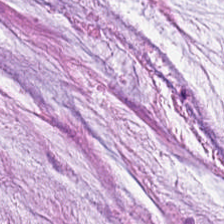H&E-stained section; the field shows mucus.
